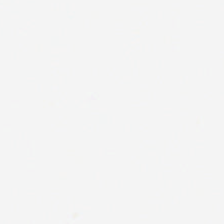Stain: hematoxylin-and-eosin stained section.
Acquisition: brightfield microscopy.
Field content: background.
